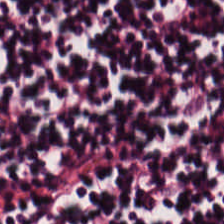H&E — Tissue type: lymphoid infiltrate.
